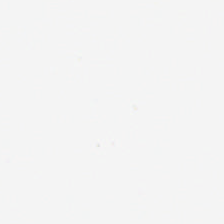Stain: hematoxylin-and-eosin stained section.
Tile size: 224×224 px patch.
Content: empty background.
